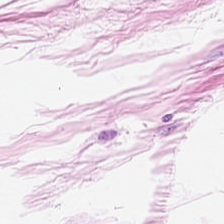H&E stain. Finding — adipose tissue.
